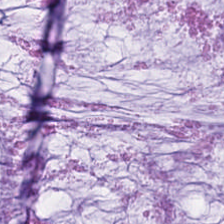Formalin-fixed paraffin-embedded section · hematoxylin and eosin. Extracellular mucin.
